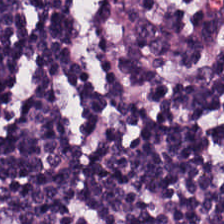Hematoxylin and eosin — Finding — lymphocyte aggregate.
